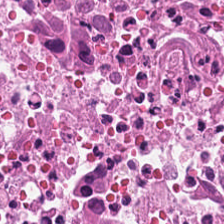Brightfield; H&E stain; 224×224 px patch. This patch shows necrotic debris.
